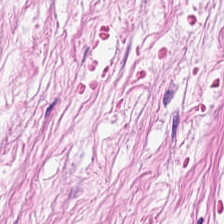Q: What type of tissue is this?
A: This is tumor-associated stroma.
